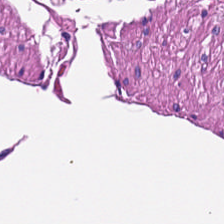WSI patch · H&E · 0.5 microns per pixel — Q: What is shown in this field?
A: This is muscularis.
